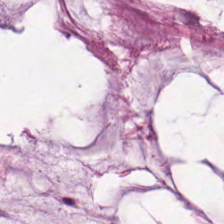Hematoxylin-and-eosin stained section. Finding → mucin.
